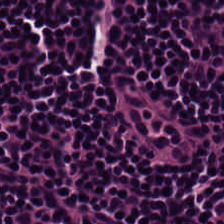The classification is lymphocytes.
